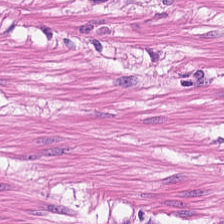H&E-stained tissue section. FFPE. Brightfield — Q: What tissue is shown?
A: It is smooth muscle.
